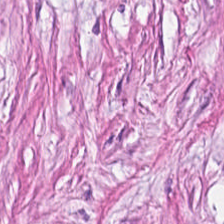H&E stain. Tissue class: desmoplastic stroma.
